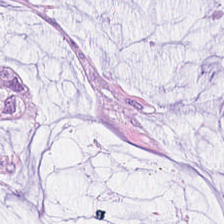H&E — mucin.
